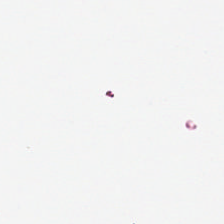H&E.
Finding — background (no tissue).
